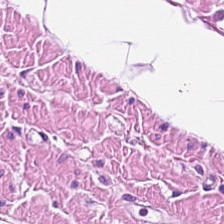H&E patch showing smooth-muscle tissue.
